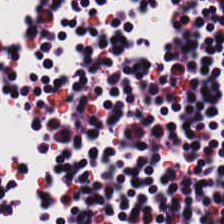Hematoxylin and eosin — The tissue here is lymphoid infiltrate.
